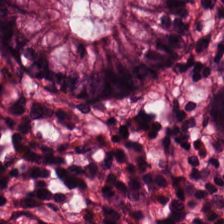Hematoxylin and eosin — The tissue here is normal colonic mucosa.
